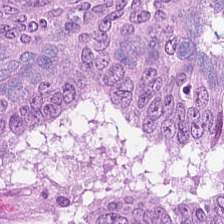Formalin-fixed paraffin-embedded section. H&E stain.
Finding → colorectal adenocarcinoma.
